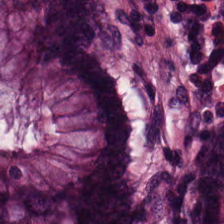FFPE tissue section; H&E-stained tissue section.
Predominantly normal colonic mucosa.
